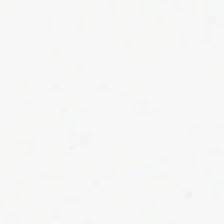Stain: hematoxylin and eosin.
Resolution: 0.5 microns per pixel.
Tile size: 224×224 px patch.
Content: background.
